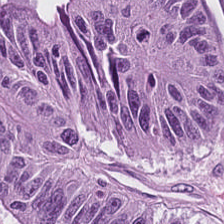Tissue class — colorectal adenocarcinoma.
